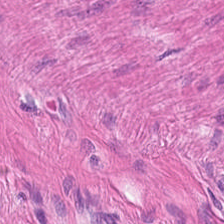Hematoxylin-and-eosin section: smooth muscle.
